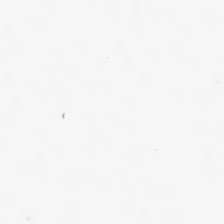H&E-stained tissue section.
Finding → empty background.
